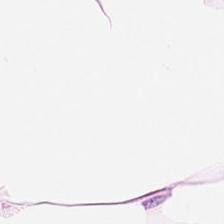H&E-stained tissue section showing adipocytes.
